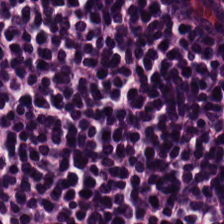Stain: hematoxylin and eosin.
Acquisition: brightfield.
Tissue: lymphocytes.
